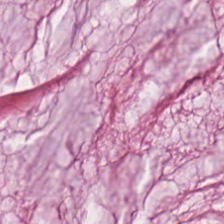H&E stain.
Histology — mucin.
